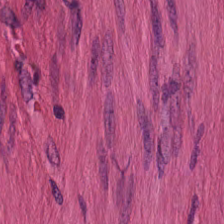Tissue type: muscularis.
